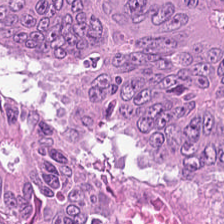H&E stain — Classification: colorectal adenocarcinoma epithelium.
